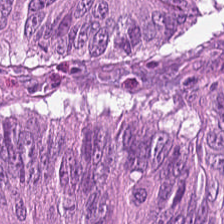Brightfield. H&E-stained tissue section. This field is malignant epithelium.
